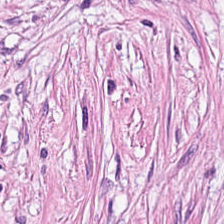H&E-stained tissue section.
Q: What does this patch show?
A: Cancer-associated stroma.
